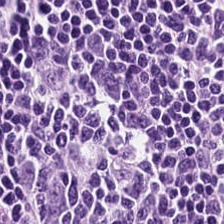H&E; formalin-fixed paraffin-embedded section — Tissue — lymphoid infiltrate.
